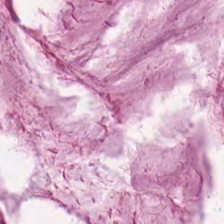Hematoxylin-and-eosin stained section.
The tissue here is mucin.
